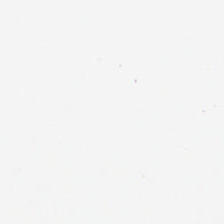Hematoxylin and eosin. FFPE tissue section. Brightfield. Q: What does this patch show?
A: Empty background.
